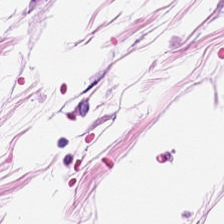Predominant tissue = adipose tissue.
